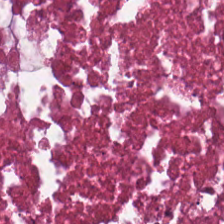Tissue type: debris.
